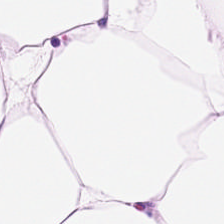Formalin-fixed paraffin-embedded section; 20× equivalent magnification; H&E stain. Fat tissue.
